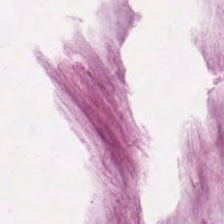224×224 px patch · hematoxylin and eosin · FFPE. This field is mucin.
